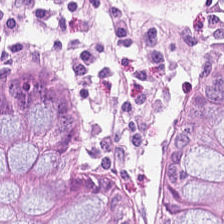Tissue class = normal colonic mucosa.
